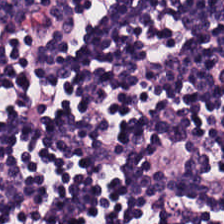Hematoxylin-and-eosin stained section.
Q: What is shown here?
A: Lymphocytes.
